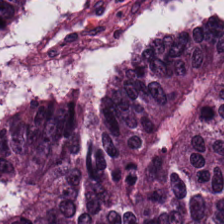Stain: hematoxylin and eosin.
Acquisition: brightfield.
Tile size: 224×224 px tile.
Classification: colorectal adenocarcinoma.
